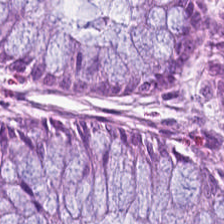224×224 pixel tile; H&E stain — Showing normal colonic mucosa.
